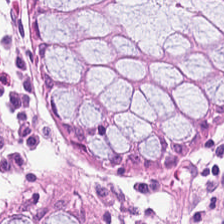{"tissue_type": "non-neoplastic colon mucosa"}
